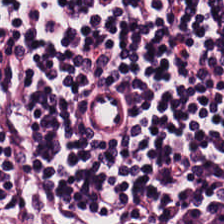H&E; formalin-fixed paraffin-embedded section.
The tissue here is lymphocytes.
